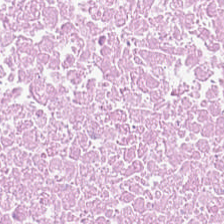H&E-stained tissue section. Showing cellular debris.
